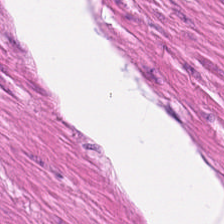Q: What type of tissue is this?
A: The field shows muscularis.
